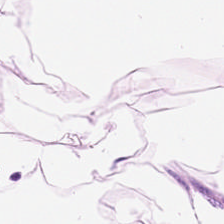224×224 px patch. Hematoxylin and eosin. Predominantly fat tissue.
